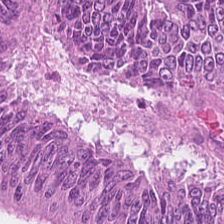Q: What tissue is shown?
A: Adenocarcinoma.
